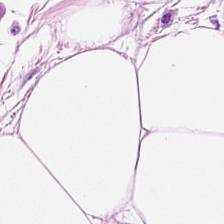Predominantly adipocytes.
